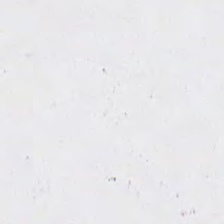H&E. Histology → background.
